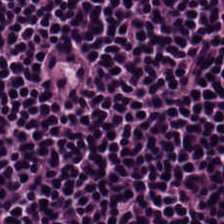Hematoxylin and eosin. This field is lymphocyte aggregate.
